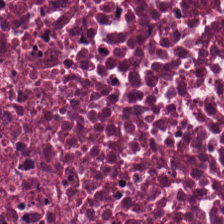H&E stain; 224×224 px patch; 0.5 microns per pixel. The tissue here is necrotic debris.
